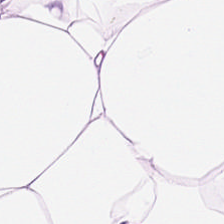224×224 pixel tile; hematoxylin and eosin; formalin-fixed paraffin-embedded section.
Tissue class — adipose tissue.
